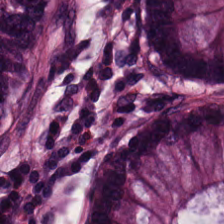This patch shows non-neoplastic colon mucosa.
